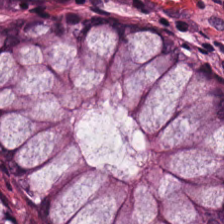Hematoxylin and eosin — Q: What does this patch show?
A: It is non-neoplastic colon mucosa.
